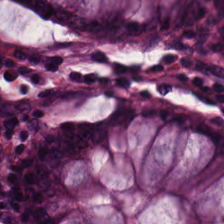The tissue here is benign colonic mucosa.
